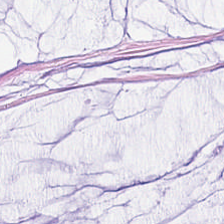H&E stain. Tissue — mucus.
